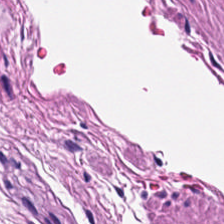Stain: hematoxylin and eosin.
Tissue class: smooth-muscle tissue.
